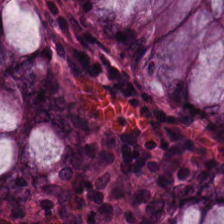Hematoxylin and eosin.
Q: What does this patch show?
A: Normal colon mucosa.
